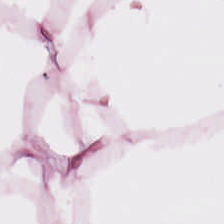0.5 microns per pixel; H&E-stained tissue section — Q: What is shown in this field?
A: It is adipose.
